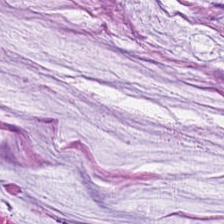Hematoxylin-and-eosin stained section — Q: What is shown here?
A: This is mucus.
